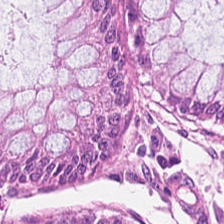Hematoxylin and eosin. The tissue here is benign colonic mucosa.
